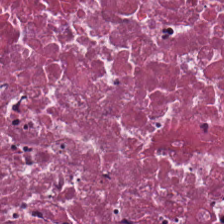H&E-stained tissue section. 0.5 µm per pixel. The tissue type is debris.
